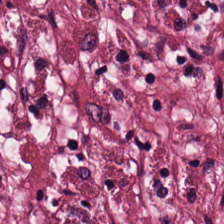Hematoxylin-and-eosin stained section — The predominant tissue is cancer-associated stroma.
